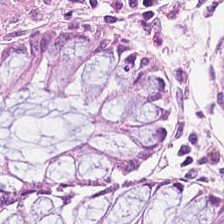The predominant tissue is normal colon mucosa.
